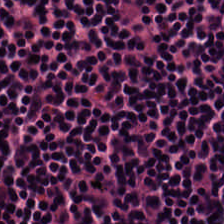Classification — lymphoid infiltrate.
